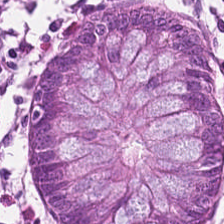Hematoxylin and eosin.
This field is non-neoplastic colon mucosa.
